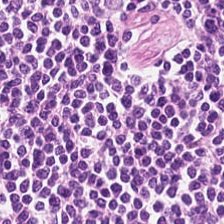Showing lymphocyte aggregate.
